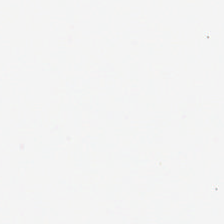Empty field — empty background.
